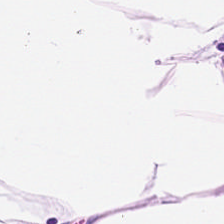H&E. WSI patch. Formalin-fixed paraffin-embedded section. The tissue class is adipose tissue.
